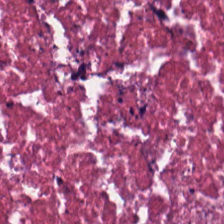This patch shows necrotic debris.
